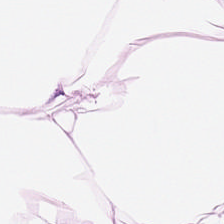H&E stain.
Q: What tissue is shown?
A: Adipose tissue.
